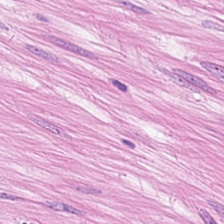H&E stain. The predominant tissue is muscularis.
